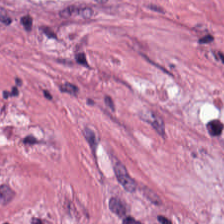Hematoxylin and eosin. Brightfield. 0.5 microns per pixel.
Q: What tissue type is shown here?
A: This is cancer-associated stroma.
